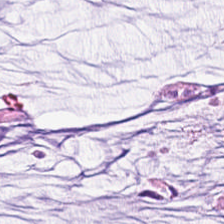H&E. Brightfield microscopy. The tissue class is extracellular mucin.
